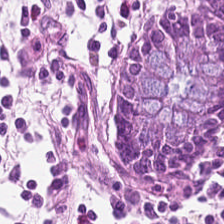H&E stain; brightfield.
Q: What is shown here?
A: It is non-neoplastic colon mucosa.
